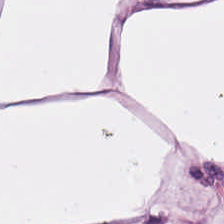H&E-stained tissue section; FFPE; 0.5 µm per pixel. Q: What type of tissue is this?
A: Adipose.
